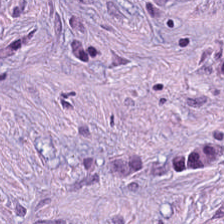Tissue class: cancer-associated stroma.
